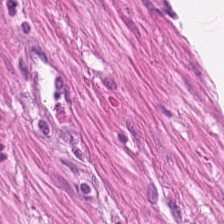{"tissue_type": "smooth-muscle tissue"}
